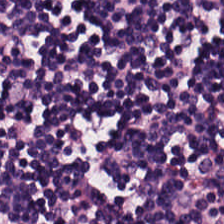H&E-stained tissue section.
Predominantly lymphocytes.
